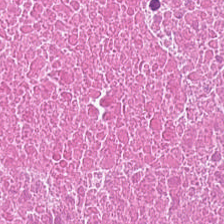Impression — necrotic debris.
